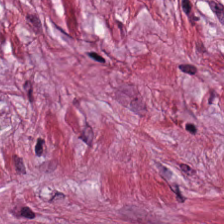Hematoxylin and eosin · brightfield — {"tissue_type": "tumor stroma"}
